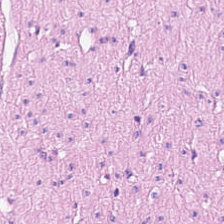Hematoxylin and eosin · 20× equivalent magnification · WSI patch — Tissue — muscularis.
